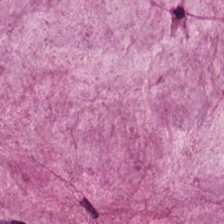Showing mucin.
